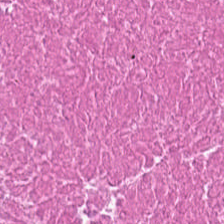H&E.
Histology → debris.
